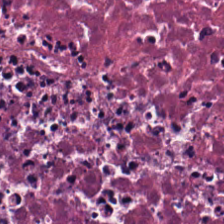0.5 µm per pixel · H&E · WSI patch.
Q: What tissue type is shown here?
A: Debris.
